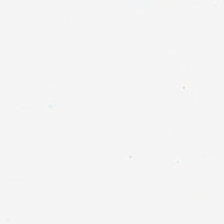Formalin-fixed paraffin-embedded section · hematoxylin-and-eosin stained section — Background — no tissue in this field.
